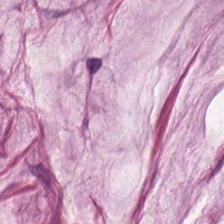Stain: H&E-stained tissue section.
Acquisition: brightfield.
Tile size: 224×224 pixel tile.
Tissue: extracellular mucin.
